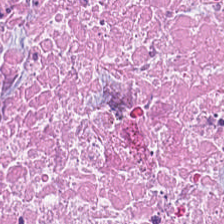Stain: H&E-stained tissue section.
Classification: necrotic debris.
